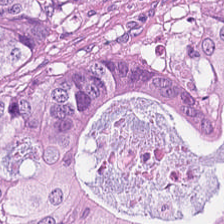H&E stain · 0.5 µm/px · formalin-fixed paraffin-embedded section.
{"tissue_type": "malignant epithelium"}
